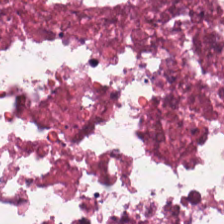Hematoxylin-and-eosin stained section. Impression → cellular debris.
